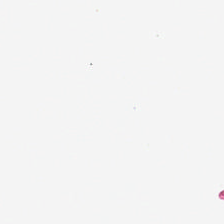Hematoxylin-and-eosin stained section.
Classification — background (no tissue).
